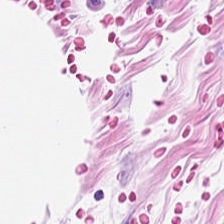Stain: hematoxylin and eosin.
Classification: fat tissue.
